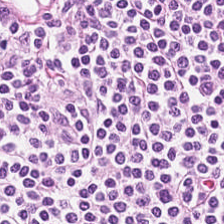Hematoxylin-and-eosin stained section — Finding — lymphocytes.
